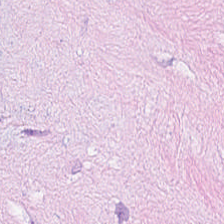Stain: hematoxylin and eosin.
Tissue type: desmoplastic stroma.
